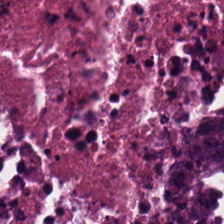H&E. Formalin-fixed paraffin-embedded section. Predominant tissue = adenocarcinoma.
